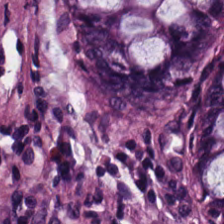This field is benign colonic mucosa.
